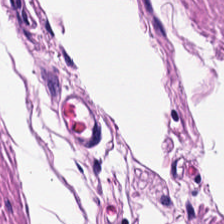H&E-stained section; the field shows muscularis.
